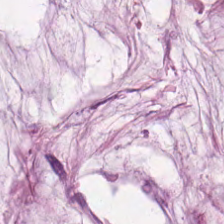Formalin-fixed paraffin-embedded section · hematoxylin and eosin. Showing extracellular mucin.
